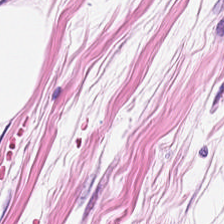FFPE tissue section · hematoxylin-and-eosin stained section · 224×224 px patch.
Q: What is shown in this field?
A: The field shows fat tissue.
